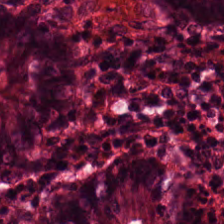WSI patch; 0.5 microns per pixel; hematoxylin and eosin.
The predominant tissue is benign colonic mucosa.
